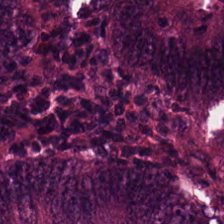Stain: H&E.
Tile size: 224×224 px patch.
Classification: colorectal adenocarcinoma epithelium.
